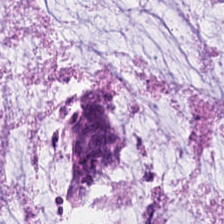FFPE. H&E — Histology → mucin.
